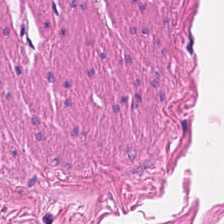H&E-stained tissue section. Predominant tissue = smooth-muscle tissue.
